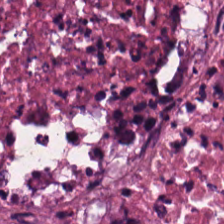H&E. Tissue type = cellular debris.
